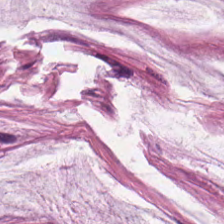0.5 microns per pixel · H&E-stained tissue section — Finding — mucin.
